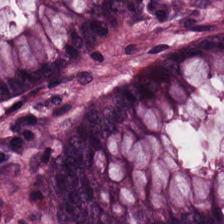FFPE tissue section; H&E — {"tissue_type": "normal colon mucosa"}
